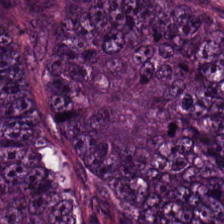Hematoxylin-and-eosin section: adenocarcinoma.
